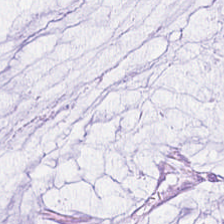20× equivalent magnification. Brightfield microscopy. H&E. This field is mucin.
